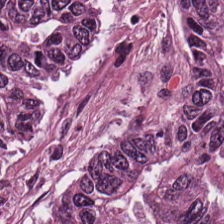224×224 px patch. 20× equivalent magnification. H&E — The predominant tissue is colorectal adenocarcinoma epithelium.
